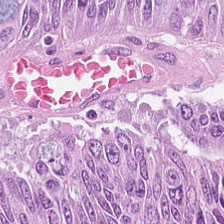Stain: H&E-stained tissue section.
Preparation: FFPE.
Tile size: 224×224 px patch.
Tissue: colorectal adenocarcinoma.
